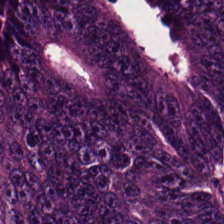224×224 px patch; H&E stain — The tissue here is adenocarcinoma.
